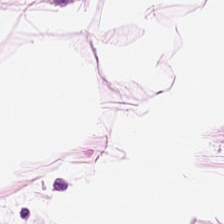Tissue type — fat tissue.
